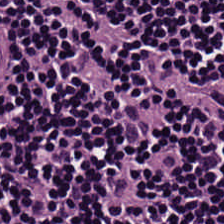FFPE. Hematoxylin and eosin.
Lymphocytic infiltrate.
